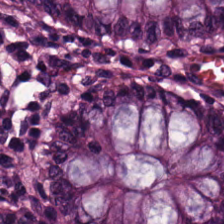Q: What tissue type is shown here?
A: Normal colon mucosa.
